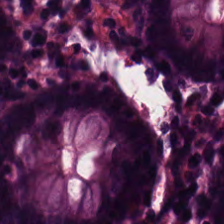Whole-slide-image patch. H&E.
Q: What is shown in this field?
A: The field shows normal colonic mucosa.
